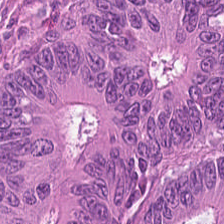0.5 microns per pixel; hematoxylin-and-eosin stained section; brightfield — {"tissue_type": "colorectal adenocarcinoma"}
